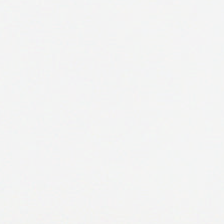H&E-stained tissue section; 0.5 µm per pixel. This patch shows background (no tissue).
